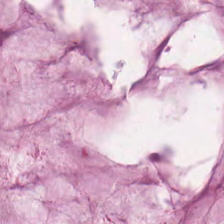Hematoxylin-and-eosin section: mucus.
